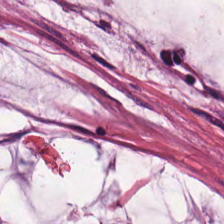Impression — mucin.
